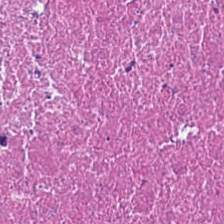H&E-stained tissue section showing debris.
